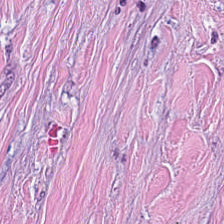Q: Classify this patch.
A: The field shows cancer-associated stroma.
